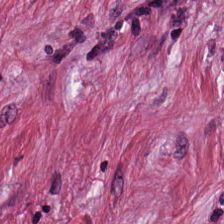224×224 px tile · H&E. Impression → tumor stroma.
